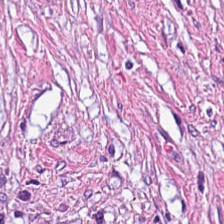Q: What type of tissue is this?
A: Desmoplastic stroma.
